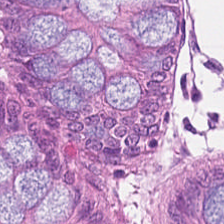Hematoxylin-and-eosin stained section.
Q: Classify this patch.
A: The field shows non-neoplastic colon mucosa.
